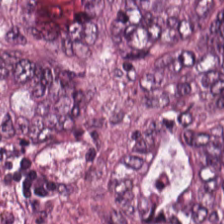Hematoxylin and eosin. Histology → colorectal adenocarcinoma epithelium.
